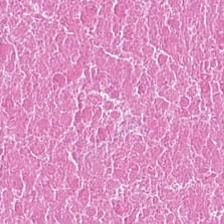H&E stain. Predominantly debris.
